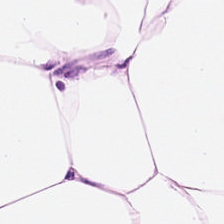Showing adipocytes.
